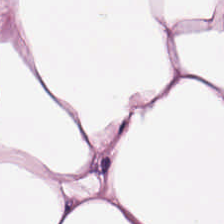Hematoxylin-and-eosin stained section — Tissue = adipose.
